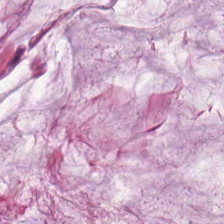H&E stain.
Showing extracellular mucin.
